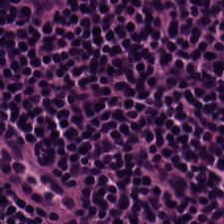Predominant tissue — lymphocyte aggregate.
